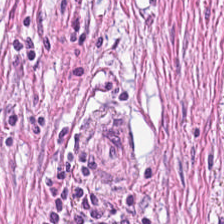224×224 px patch; FFPE tissue section; H&E.
Histology → cancer-associated stroma.
